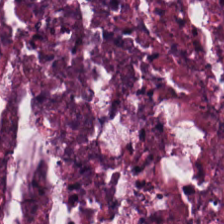Formalin-fixed paraffin-embedded section; hematoxylin-and-eosin stained section.
Predominantly cellular debris.
